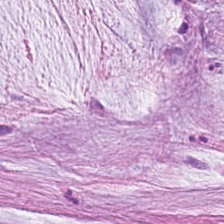Tissue type — mucin.
